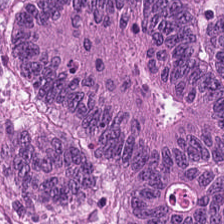H&E-stained tissue section — Impression — colorectal adenocarcinoma.
